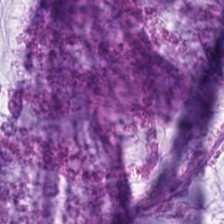Hematoxylin and eosin · formalin-fixed paraffin-embedded section · 224×224 px patch.
Tissue type = mucus.
